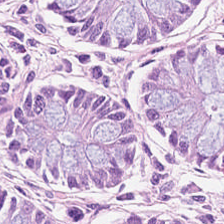Hematoxylin-and-eosin stained section; 0.5 microns per pixel. Histology → benign colonic mucosa.
